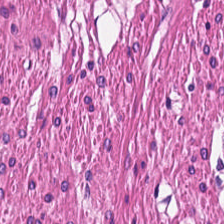H&E.
The predominant tissue is smooth muscle.
